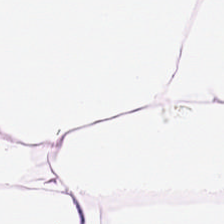H&E-stained tissue section — Tissue type: fat tissue.
